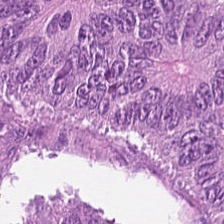H&E stain — The tissue is colorectal adenocarcinoma.
